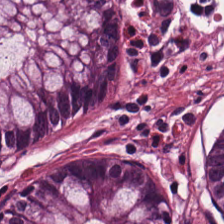H&E-stained tissue section.
Q: What does this patch show?
A: This is normal colon mucosa.
